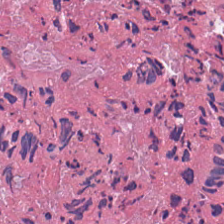H&E stain — Histology → necrotic debris.
